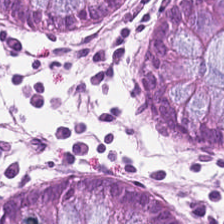Hematoxylin and eosin — The predominant tissue is normal colon mucosa.
